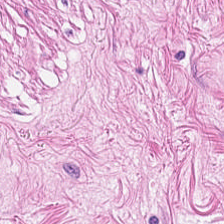H&E stain. Q: What tissue type is shown here?
A: It is smooth-muscle tissue.
